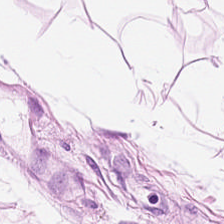224×224 pixel tile; hematoxylin-and-eosin stained section; brightfield microscopy — Predominant tissue — adipose.
